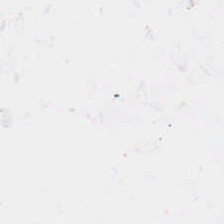WSI patch; H&E-stained tissue section; 0.5 µm per pixel.
{"content": "background (no tissue)"}
